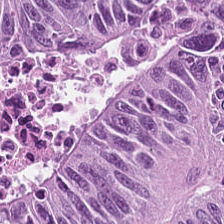{"tissue_type": "adenocarcinoma"}
